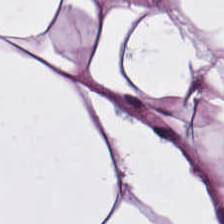Hematoxylin-and-eosin stained section — Predominantly adipocytes.
